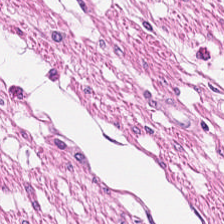H&E. This field is muscularis.
